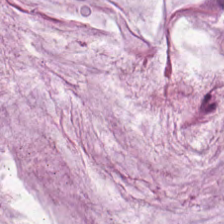Brightfield · H&E stain · 0.5 microns per pixel — Q: What tissue is shown?
A: Mucus.
